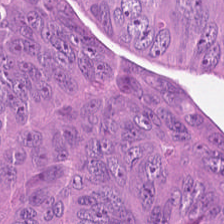Stain: hematoxylin-and-eosin stained section.
Tissue type: adenocarcinoma.
